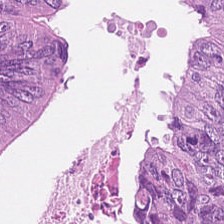Hematoxylin-and-eosin stained section · 224×224 px patch. The predominant tissue is tumor epithelium.
